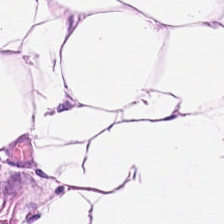Stain: hematoxylin and eosin.
Acquisition: whole-slide-image patch.
Tissue class: fat tissue.
